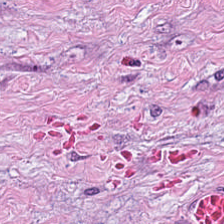Q: What tissue type is shown here?
A: This is cancer-associated stroma.
